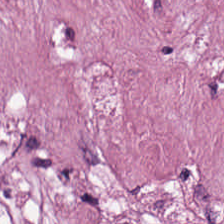H&E. 0.5 microns per pixel — Q: What does this patch show?
A: This is cancer-associated stroma.
